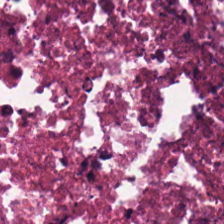H&E-stained tissue section — This field is debris.
